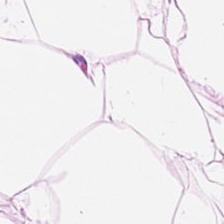Hematoxylin-and-eosin stained section.
Tissue — adipocytes.
